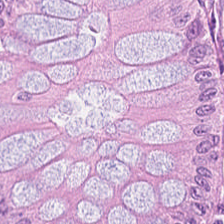H&E stain; 0.5 µm/px. Classification — normal colonic mucosa.
